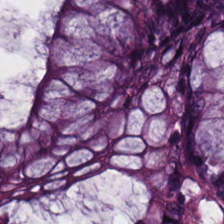Formalin-fixed paraffin-embedded section; H&E. Predominantly normal colonic mucosa.
